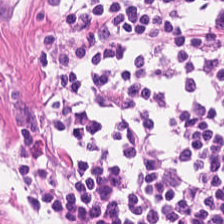Showing smooth-muscle tissue.
